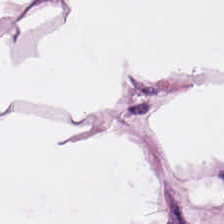Hematoxylin-and-eosin stained section.
Predominant tissue: adipose.
